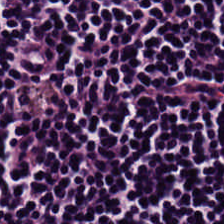Stain: hematoxylin and eosin.
Tissue type: lymphocytes.
